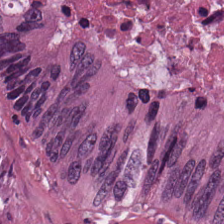Brightfield microscopy · H&E stain · 224×224 px patch — Q: Identify the tissue.
A: The field shows debris.
